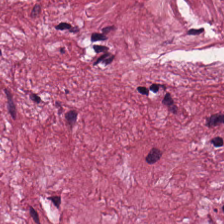Hematoxylin and eosin. 224×224 px patch. Formalin-fixed paraffin-embedded section. The tissue here is cancer-associated stroma.
